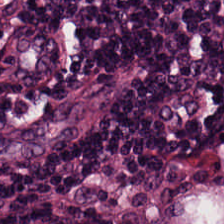H&E. Brightfield. The tissue here is lymphocytic infiltrate.
